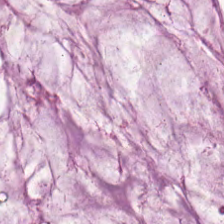H&E.
Q: What type of tissue is this?
A: Extracellular mucin.
